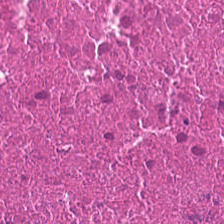224×224 px patch. 20× equivalent magnification. H&E stain — Q: What is shown in this field?
A: This is cellular debris.
